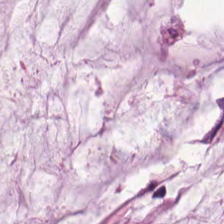H&E stain.
The tissue class is extracellular mucin.
